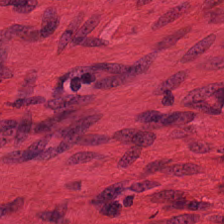H&E-stained tissue section. This field is muscularis.
